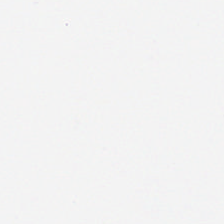No tissue present; background only.
